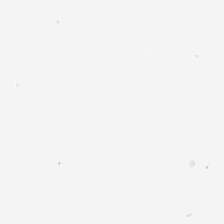Whole-slide-image patch · H&E stain · 20× equivalent magnification — Field content — background.
